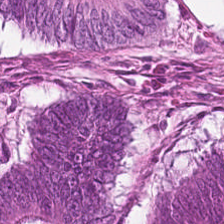Hematoxylin-and-eosin section: tumor epithelium.
